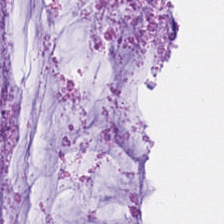Hematoxylin-and-eosin stained section. 0.5 microns per pixel.
Showing mucus.
